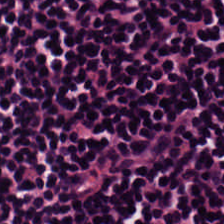{"tissue_type": "lymphocytes"}
